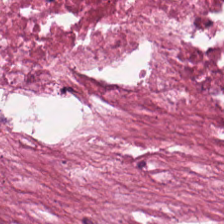FFPE tissue section · H&E — Q: What tissue is shown?
A: It is cellular debris.
